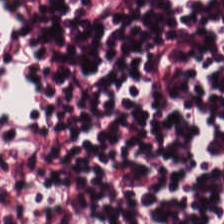Stain: hematoxylin-and-eosin stained section.
Predominant tissue: lymphocytes.
